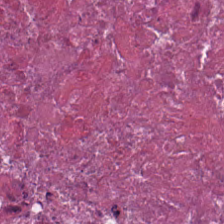20× equivalent magnification · hematoxylin and eosin. Q: Identify the tissue.
A: It is debris.
